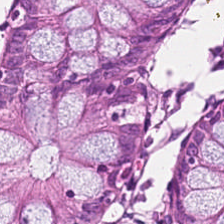H&E-stained tissue section. FFPE. {"tissue_type": "benign colonic mucosa"}
